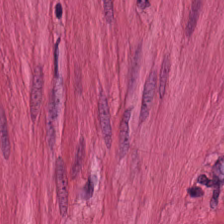H&E.
Q: What is shown here?
A: Muscularis.
